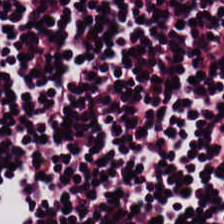Stain: H&E stain.
Classification: lymphocyte aggregate.
